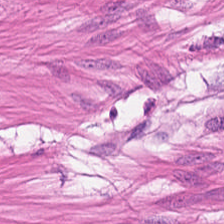H&E — Predominantly smooth-muscle tissue.
